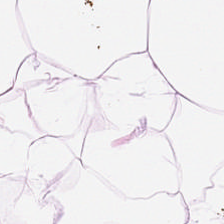Stain: H&E stain.
Tissue: adipocytes.
